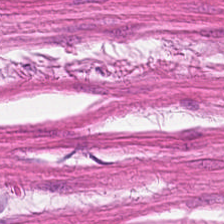Hematoxylin-and-eosin stained section — {"tissue_type": "smooth muscle"}
